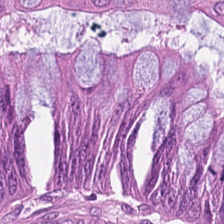Tissue class = colorectal adenocarcinoma epithelium.
